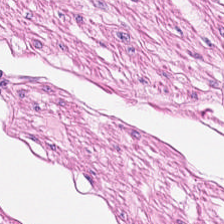H&E — smooth-muscle tissue.
